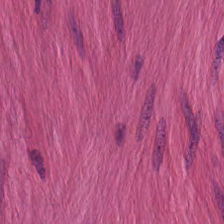224×224 px tile. H&E stain — This field is muscularis.
